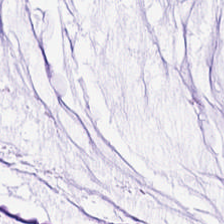Q: Identify the tissue.
A: The field shows extracellular mucin.
